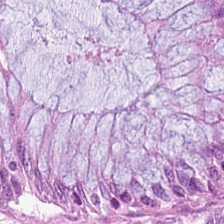Tissue class = normal colonic mucosa.
